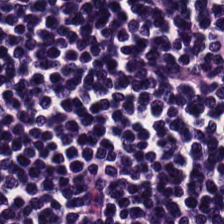Stain: H&E-stained tissue section.
Tissue type: lymphocytic infiltrate.
